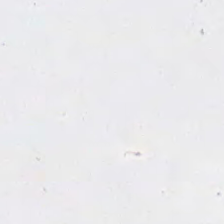H&E · 224×224 px tile · brightfield microscopy.
Content: background (no tissue).
